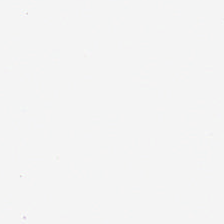This patch shows background.
